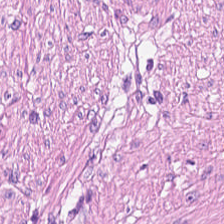Hematoxylin-and-eosin stained section. Classification: smooth muscle.
